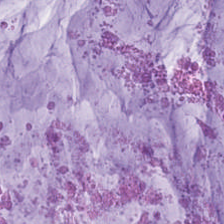0.5 microns per pixel. Formalin-fixed paraffin-embedded section. H&E stain — The tissue class is mucin.
